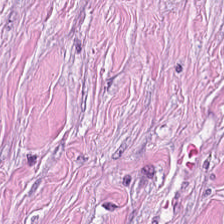224×224 pixel tile. H&E — Predominantly cancer-associated stroma.
